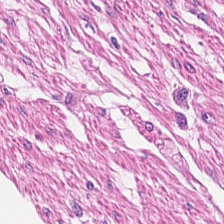Hematoxylin and eosin · FFPE tissue section.
Q: What is the predominant tissue type?
A: This is muscularis.
